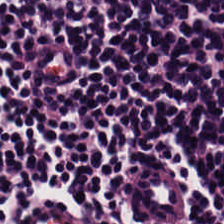Stain: H&E stain.
Preparation: formalin-fixed paraffin-embedded section.
Tile size: 224×224 pixel tile.
Classification: lymphoid infiltrate.
